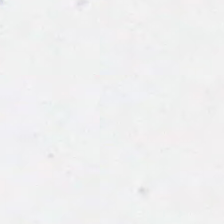Field content — background.
